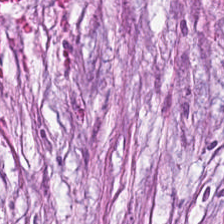224×224 px patch; H&E-stained tissue section. The classification is cancer-associated stroma.
